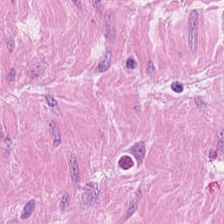Hematoxylin and eosin.
The predominant tissue is muscularis.
